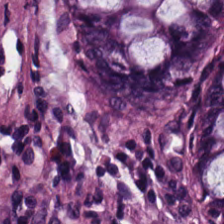Stain: hematoxylin and eosin.
Preparation: FFPE.
Tissue: normal colon mucosa.
